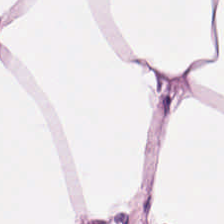H&E patch showing adipose.
